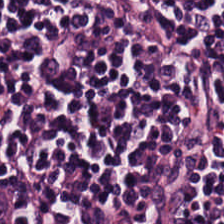H&E.
Impression — lymphoid infiltrate.
